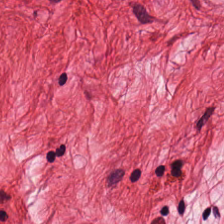0.5 µm per pixel; H&E stain — This patch shows muscularis.
